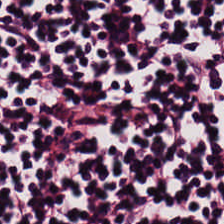H&E.
{"tissue_type": "lymphocyte aggregate"}
